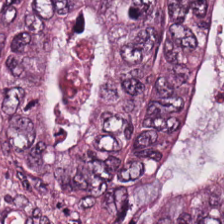Predominantly colorectal adenocarcinoma.
